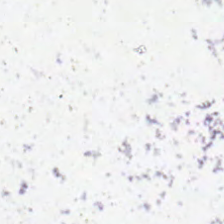Hematoxylin-and-eosin stained section.
No tissue present; background only.
